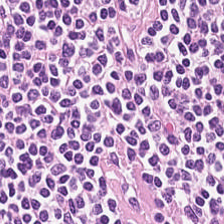224×224 px tile. Hematoxylin-and-eosin stained section. Whole-slide-image patch. {"tissue_type": "lymphocytic infiltrate"}
